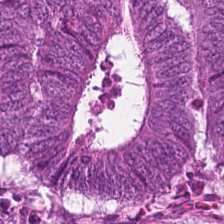H&E. The predominant tissue is malignant epithelium.
